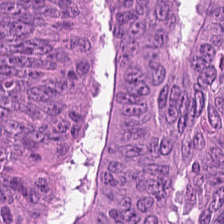Hematoxylin and eosin — Tissue: tumor epithelium.
